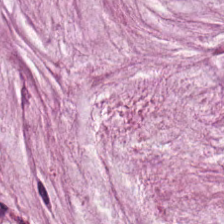Hematoxylin and eosin. 224×224 px tile — Predominantly mucus.
